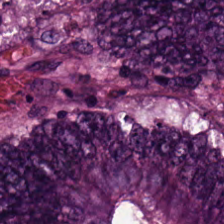H&E stain. Predominantly adenocarcinoma.
